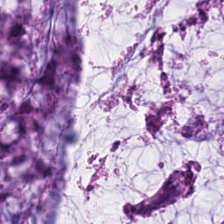Formalin-fixed paraffin-embedded section · 224×224 px tile · hematoxylin and eosin — This patch shows mucin.
